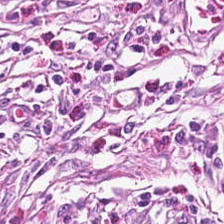Brightfield microscopy · H&E.
The predominant tissue is desmoplastic stroma.
